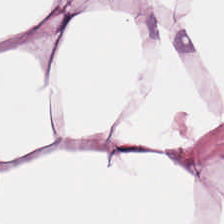H&E. 0.5 µm/px — Predominantly adipose tissue.
